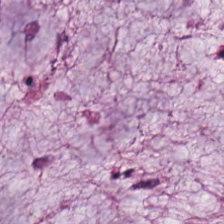H&E stain.
Tissue type: extracellular mucin.
